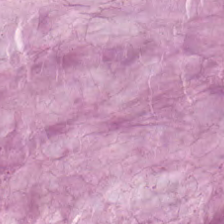Tissue: extracellular mucin.
